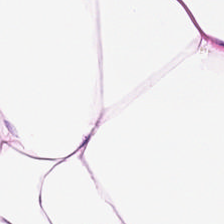0.5 µm per pixel · H&E. Tissue class: adipocytes.
